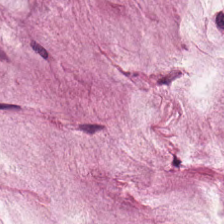H&E stain. The predominant tissue is mucus.
